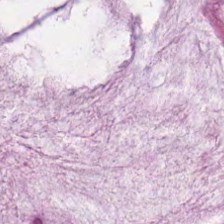WSI patch. H&E-stained tissue section.
The predominant tissue is mucus.
